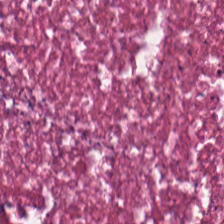Stain: hematoxylin-and-eosin stained section.
Preparation: FFPE.
Tissue class: necrotic debris.
